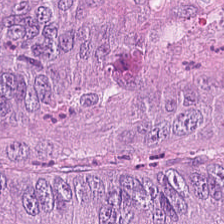FFPE. H&E-stained tissue section. 20× equivalent magnification — The tissue is colorectal adenocarcinoma epithelium.
